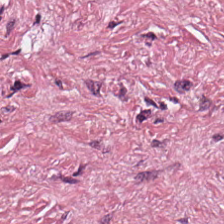Hematoxylin-and-eosin stained section — Classification: tumor stroma.
